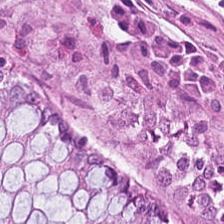Formalin-fixed paraffin-embedded section. Hematoxylin-and-eosin stained section — The predominant tissue is normal colon mucosa.
